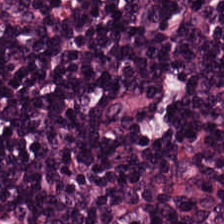Stain: hematoxylin-and-eosin stained section.
Tissue: lymphocytic infiltrate.
